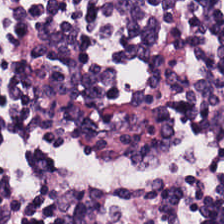{"tissue_type": "lymphocytic infiltrate"}
